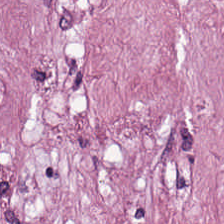Q: What type of tissue is this?
A: This is tumor stroma.
